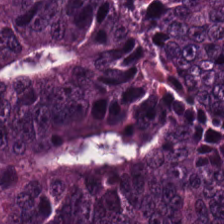H&E-stained tissue section.
The tissue is malignant epithelium.
